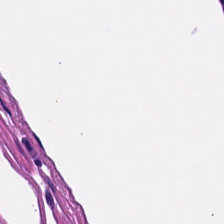{"tissue_type": "smooth-muscle tissue"}
